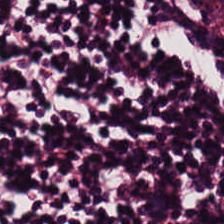Q: What type of tissue is this?
A: The field shows lymphoid infiltrate.
